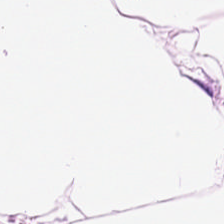H&E-stained tissue section — Tissue class: fat tissue.
